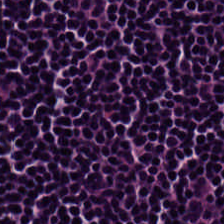0.5 µm/px. H&E stain. Q: Classify this patch.
A: This is lymphocyte aggregate.
